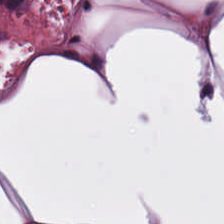Showing adipose tissue.
